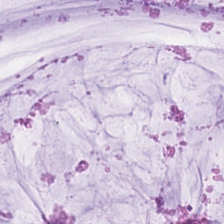H&E stain.
Tissue class = mucus.
